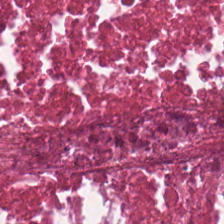Hematoxylin-and-eosin stained section. 0.5 µm per pixel. Formalin-fixed paraffin-embedded section. Finding → necrotic debris.
